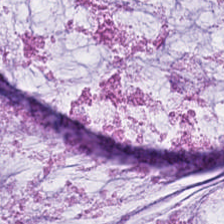Brightfield microscopy · 224×224 pixel tile · hematoxylin and eosin. Q: Identify the tissue.
A: It is mucin.
